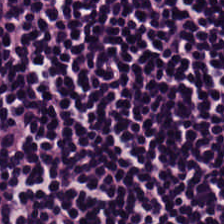FFPE tissue section; H&E stain.
Tissue type = lymphoid infiltrate.
